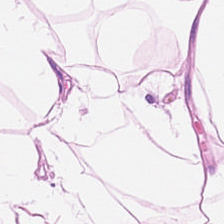This patch shows fat tissue.
